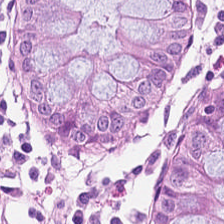Hematoxylin and eosin. {"tissue_type": "normal colonic mucosa"}
